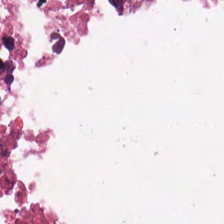Stain: H&E.
Tile size: 224×224 pixel tile.
Predominant tissue: debris.
